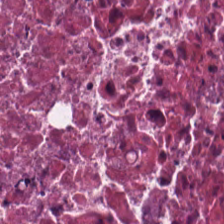Q: What is shown here?
A: The field shows necrotic debris.
